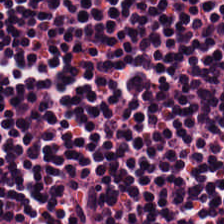H&E-stained section; the field shows lymphocyte aggregate.
